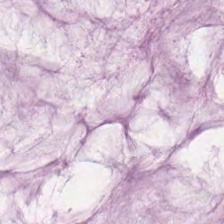Hematoxylin and eosin.
{"tissue_type": "extracellular mucin"}
